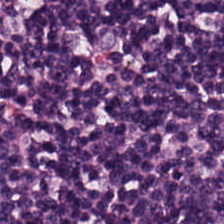Stain: H&E.
Tile size: 224×224 px tile.
Tissue: lymphocyte aggregate.
